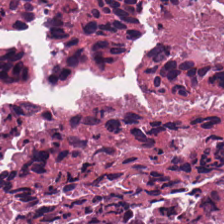224×224 pixel tile; formalin-fixed paraffin-embedded section; H&E-stained tissue section.
Classification: necrotic debris.
